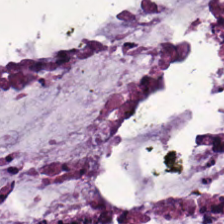Brightfield microscopy; hematoxylin and eosin; FFPE. Predominantly extracellular mucin.
